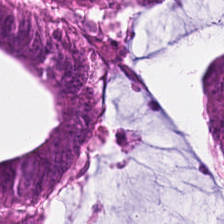Hematoxylin and eosin · whole-slide-image patch · 224×224 pixel tile — This field is adenocarcinoma.
